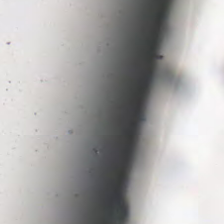Hematoxylin and eosin; brightfield; 224×224 px patch — Classification = background.
